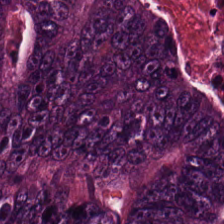FFPE tissue section. Hematoxylin and eosin.
Predominantly colorectal adenocarcinoma epithelium.
